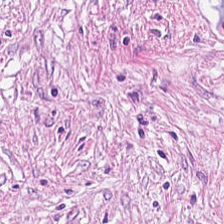Hematoxylin-and-eosin stained section. 224×224 px tile.
Q: What is shown in this field?
A: This is desmoplastic stroma.
